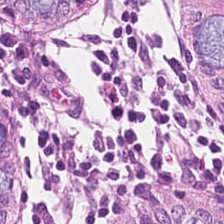224×224 px patch. H&E-stained tissue section.
This field is normal colon mucosa.
